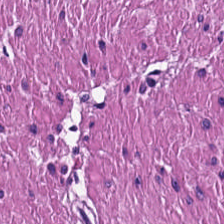Stain: H&E.
Resolution: 0.5 µm/px.
Tile size: 224×224 px tile.
Tissue: smooth-muscle tissue.
